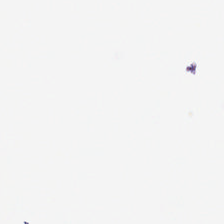H&E-stained tissue section.
Background (no tissue).
